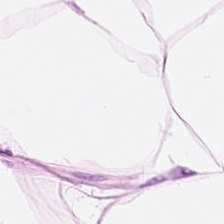H&E patch showing adipose.
